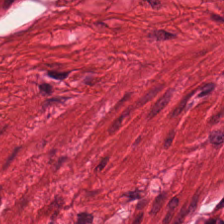Tissue: smooth muscle.
